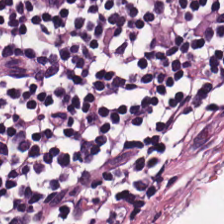FFPE tissue section. Hematoxylin-and-eosin stained section. 224×224 pixel tile — Q: What tissue is shown?
A: It is lymphocyte aggregate.
